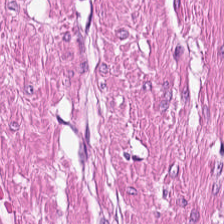Hematoxylin-and-eosin stained section.
Q: What is shown in this field?
A: This is muscularis.
